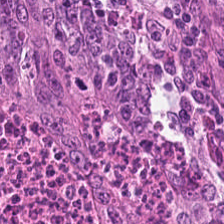Stain: H&E.
Classification: colorectal adenocarcinoma epithelium.
